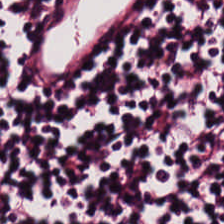FFPE; brightfield; hematoxylin-and-eosin stained section — Q: What is shown here?
A: Lymphocytic infiltrate.
